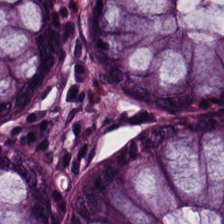This field is normal colonic mucosa.
